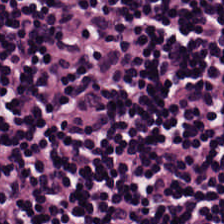H&E. Predominant tissue: lymphocytes.
